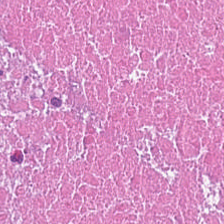Predominantly debris.
